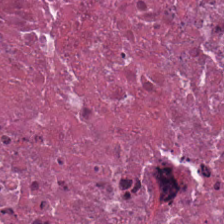Hematoxylin-and-eosin stained section; FFPE tissue section; brightfield microscopy.
The tissue here is necrotic debris.
